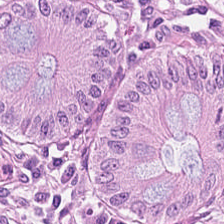Q: What does this patch show?
A: This is benign colonic mucosa.
